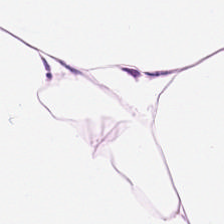H&E-stained section; the field shows adipocytes.
